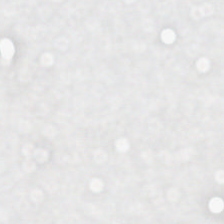20× equivalent magnification. Hematoxylin and eosin. 224×224 px tile.
Q: What is shown in this field?
A: The field shows empty background.
